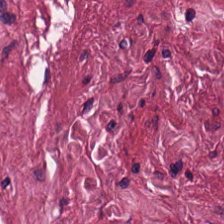H&E stain. 0.5 µm per pixel.
{"tissue_type": "cancer-associated stroma"}
